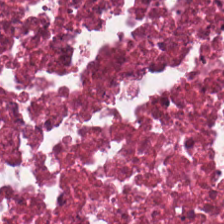FFPE tissue section; 0.5 microns per pixel; hematoxylin and eosin — {"tissue_type": "necrotic debris"}
